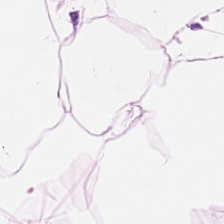0.5 µm/px · H&E-stained tissue section. Showing adipose tissue.
